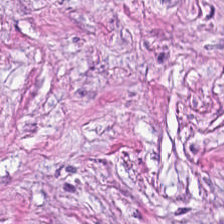0.5 microns per pixel; H&E-stained tissue section; FFPE — Tissue = tumor-associated stroma.
